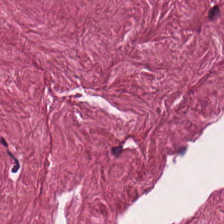Classification: cancer-associated stroma.
